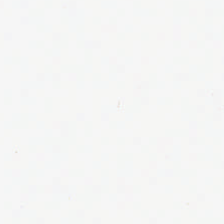H&E. 224×224 pixel tile. 0.5 µm per pixel — Finding → no tissue.
